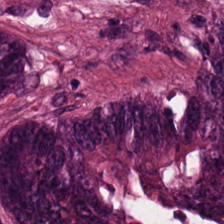Hematoxylin-and-eosin stained section.
Q: What is shown in this field?
A: Colorectal adenocarcinoma epithelium.
